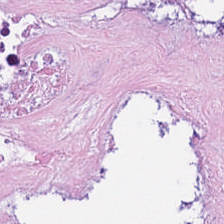WSI patch; hematoxylin-and-eosin stained section — This patch shows cellular debris.
